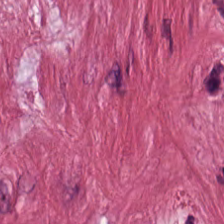Whole-slide-image patch · H&E-stained tissue section. Predominantly desmoplastic stroma.
